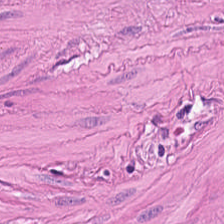H&E-stained tissue section · formalin-fixed paraffin-embedded section — Q: What is the predominant tissue type?
A: It is smooth muscle.
